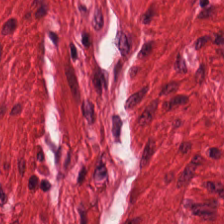Hematoxylin and eosin · 0.5 µm/px.
Showing smooth-muscle tissue.
